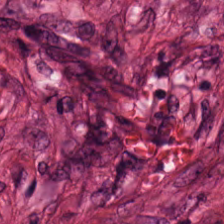Q: What tissue is shown?
A: This is desmoplastic stroma.
